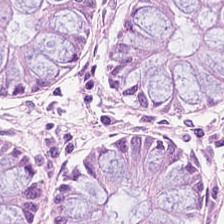224×224 px patch · hematoxylin-and-eosin stained section. This field is non-neoplastic colon mucosa.
